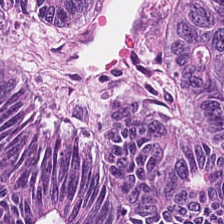Brightfield; H&E — Q: Identify the tissue.
A: The field shows adenocarcinoma.
